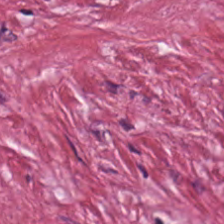H&E-stained tissue section.
Predominantly tumor stroma.
